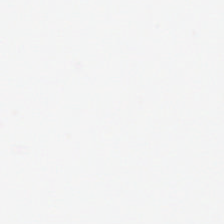224×224 pixel tile; H&E; formalin-fixed paraffin-embedded section. Content = empty background.
